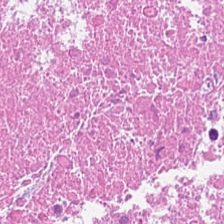H&E.
{"tissue_type": "necrotic debris"}
